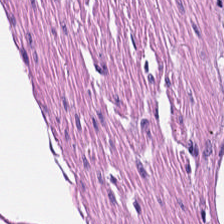Hematoxylin-and-eosin stained section — Histology — muscularis.
